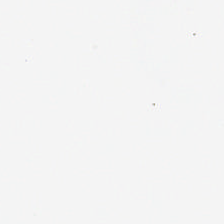H&E stain; 224×224 pixel tile.
Field content — no tissue.
